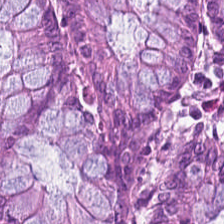H&E stain. Classification = normal colonic mucosa.
